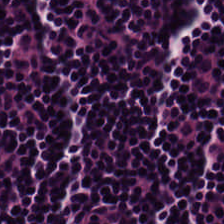H&E — The predominant tissue is lymphocytes.
